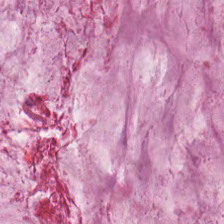Hematoxylin-and-eosin stained section. Brightfield. Formalin-fixed paraffin-embedded section — Showing extracellular mucin.
